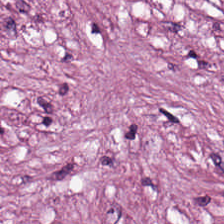H&E — Predominant tissue — desmoplastic stroma.
